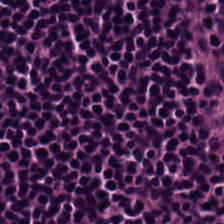H&E-stained tissue section — The tissue class is lymphocytic infiltrate.
